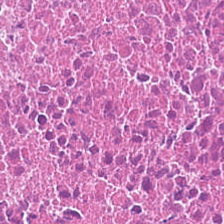Stain: H&E stain.
Predominant tissue: debris.
